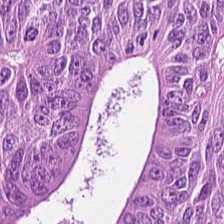WSI patch. FFPE. Hematoxylin-and-eosin stained section — Q: What is shown here?
A: It is colorectal adenocarcinoma.
